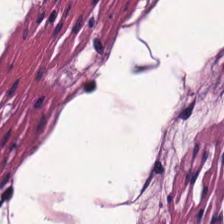H&E-stained tissue section showing muscularis.
